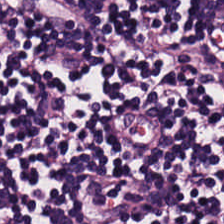H&E. Impression → lymphocytes.
